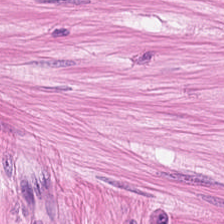H&E stain.
Predominant tissue: muscularis.
